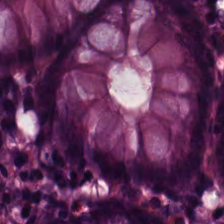H&E — Finding — normal colonic mucosa.
